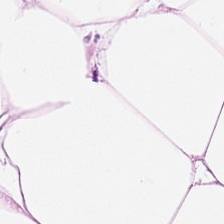224×224 px tile; H&E-stained tissue section. This patch shows adipose.
